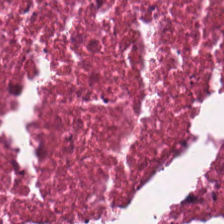Stain: hematoxylin-and-eosin stained section.
Tissue class: cellular debris.
